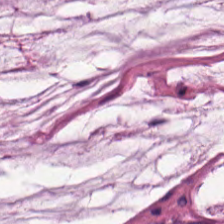Brightfield · 0.5 µm per pixel · H&E. Impression — mucin.
